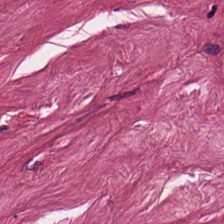224×224 px tile · H&E stain — The tissue here is tumor stroma.
